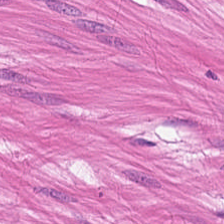The tissue here is smooth muscle.
